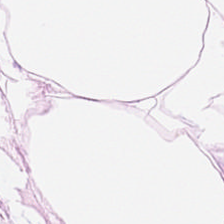H&E stain. FFPE tissue section. 224×224 px tile. Histology → adipose.
